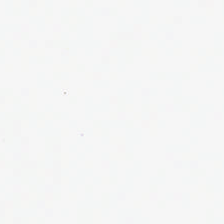Hematoxylin and eosin. Classification — no tissue.
